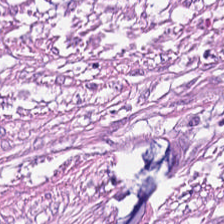Hematoxylin and eosin · FFPE · 224×224 px patch. Cancer-associated stroma.
